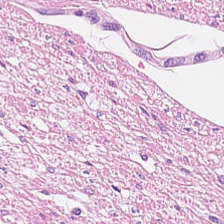Stain: H&E stain.
Predominant tissue: smooth-muscle tissue.
